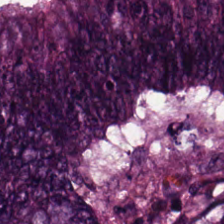Brightfield; H&E stain; 224×224 pixel tile — Tissue type: colorectal adenocarcinoma.
